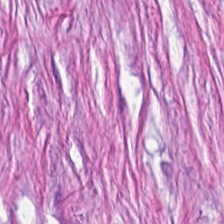Tissue class — desmoplastic stroma.
